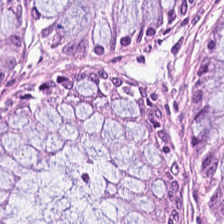Hematoxylin-and-eosin stained section — Impression → benign colonic mucosa.
